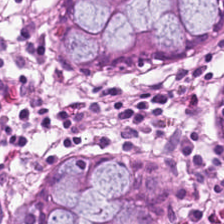WSI patch · hematoxylin and eosin — Histology — normal colon mucosa.
